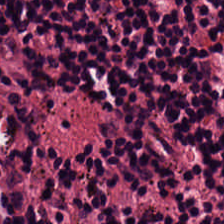H&E stain · 224×224 px tile · 0.5 µm/px — Q: What is the predominant tissue type?
A: This is lymphocyte aggregate.
